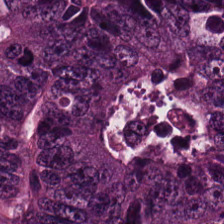Formalin-fixed paraffin-embedded section · 0.5 microns per pixel · hematoxylin-and-eosin stained section. Tissue class = colorectal adenocarcinoma epithelium.
